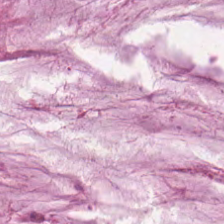H&E. Classification: extracellular mucin.
